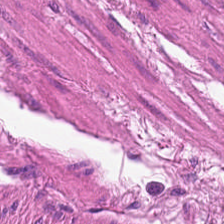H&E.
Tissue class: muscularis.
